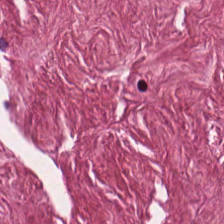The tissue is cancer-associated stroma.
